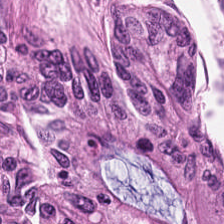Hematoxylin-and-eosin stained section — This field is adenocarcinoma.
